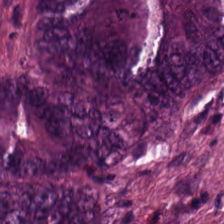FFPE. WSI patch. H&E-stained tissue section — Classification = adenocarcinoma.
